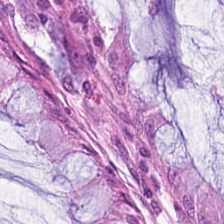Q: What tissue is shown?
A: This is normal colonic mucosa.
